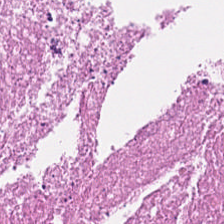Q: What is shown in this field?
A: Necrotic debris.
